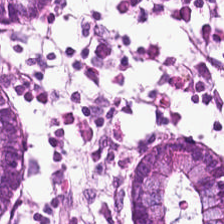224×224 pixel tile. Hematoxylin-and-eosin stained section. The classification is normal colonic mucosa.
